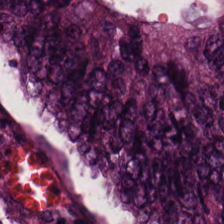Impression → malignant epithelium.
